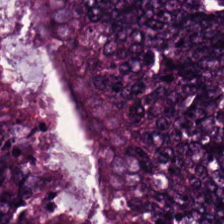H&E stain. This field is tumor epithelium.
